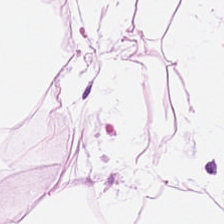Stain: H&E-stained tissue section.
Tissue: adipose tissue.
